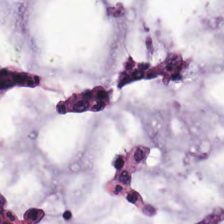FFPE. 0.5 µm per pixel. H&E-stained tissue section — {"tissue_type": "mucus"}
